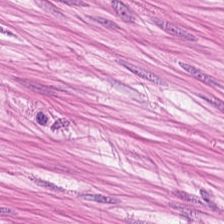Brightfield microscopy; H&E stain; FFPE.
Histology — muscularis.
